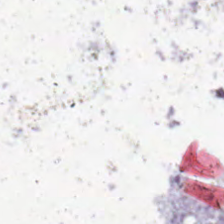Hematoxylin-and-eosin stained section. Formalin-fixed paraffin-embedded section — This field is background (no tissue).
